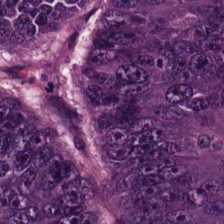Hematoxylin and eosin · 224×224 px tile.
Tissue: colorectal adenocarcinoma epithelium.
